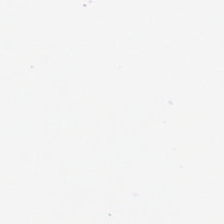Hematoxylin and eosin.
{"content": "no tissue"}
